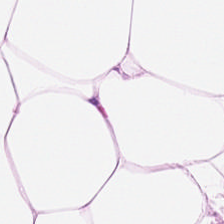224×224 px tile; FFPE tissue section; H&E — This patch shows fat tissue.
